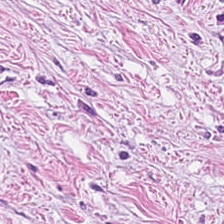Predominant tissue = tumor stroma.
